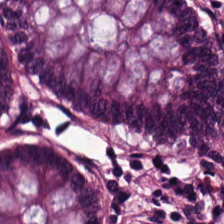H&E — Predominant tissue: non-neoplastic colon mucosa.
